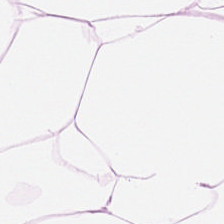H&E; 224×224 pixel tile; 0.5 µm per pixel.
Histology — fat tissue.
